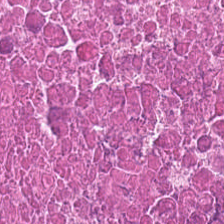Brightfield microscopy; H&E stain — Tissue = cellular debris.
